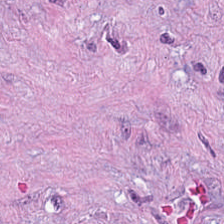H&E patch showing cancer-associated stroma.
